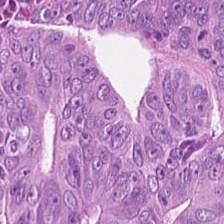H&E-stained tissue section — Q: What is shown here?
A: It is adenocarcinoma.
